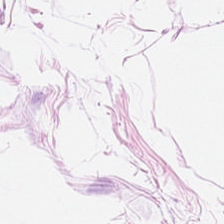Stain: H&E.
Acquisition: brightfield microscopy.
Preparation: FFPE.
Tissue: adipose tissue.
